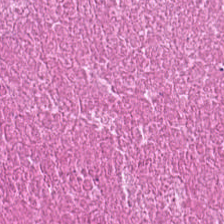H&E stain. Q: Identify the tissue.
A: The field shows cellular debris.
